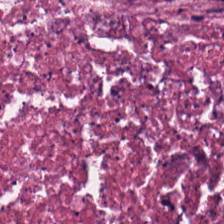Hematoxylin-and-eosin stained section. 224×224 pixel tile. Histology → debris.
